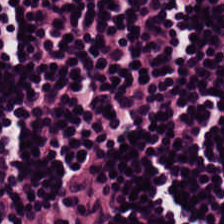H&E stain. Histology — lymphoid infiltrate.
